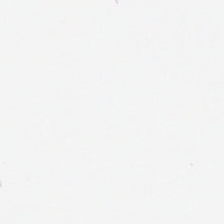Formalin-fixed paraffin-embedded section · 0.5 µm per pixel · hematoxylin and eosin. This field is background (no tissue).
